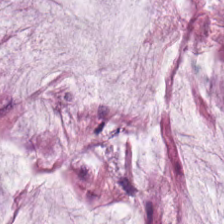Hematoxylin-and-eosin stained section; FFPE tissue section.
Q: Classify this patch.
A: It is mucus.
